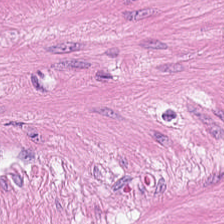H&E stain; 0.5 µm/px — Tissue class: smooth muscle.
